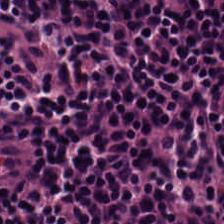Formalin-fixed paraffin-embedded section · hematoxylin and eosin · 0.5 microns per pixel.
Q: What is the predominant tissue type?
A: This is lymphoid infiltrate.
